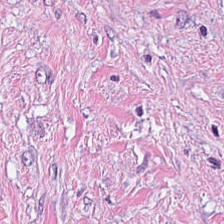H&E-stained tissue section · 20× equivalent magnification.
Predominant tissue: tumor stroma.
